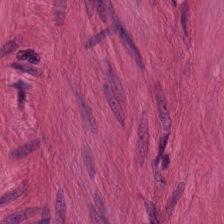{"tissue_type": "muscularis"}
